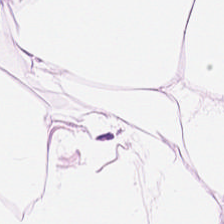Hematoxylin-and-eosin stained section · 224×224 px patch — {"tissue_type": "adipocytes"}
